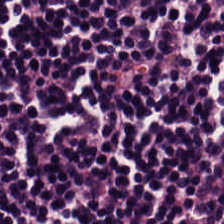Lymphocytic infiltrate.
